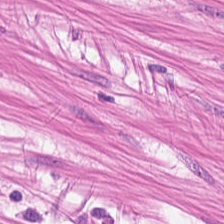Hematoxylin-and-eosin stained section — Finding — muscularis.
